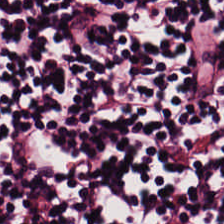H&E. Q: What is shown here?
A: Lymphoid infiltrate.
